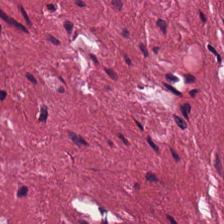224×224 pixel tile; hematoxylin and eosin — Predominantly desmoplastic stroma.
